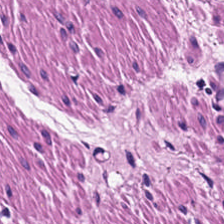Stain: hematoxylin and eosin.
Resolution: 20× equivalent magnification.
Classification: muscularis.
